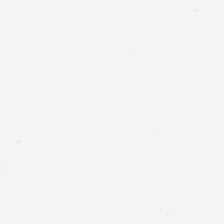H&E stain; 0.5 microns per pixel. Q: What is shown in this field?
A: The field shows background.
